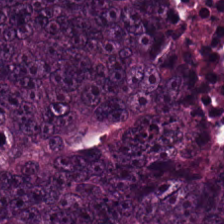Stain: H&E stain.
Tissue class: tumor epithelium.
